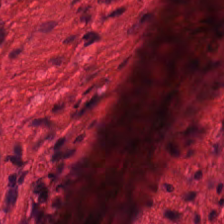FFPE tissue section · hematoxylin-and-eosin stained section — Predominantly smooth muscle.
